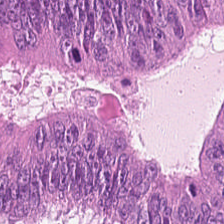Whole-slide-image patch; hematoxylin and eosin.
Q: What tissue type is shown here?
A: It is colorectal adenocarcinoma.
